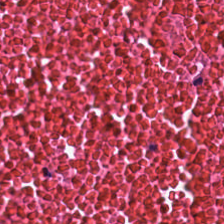Stain: H&E stain.
Tissue class: necrotic debris.
